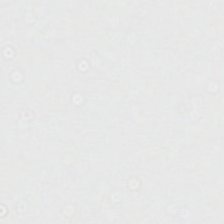No tissue present; background only.
